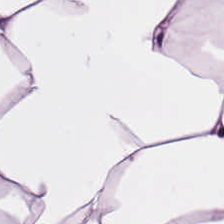H&E-stained tissue section.
Showing fat tissue.
